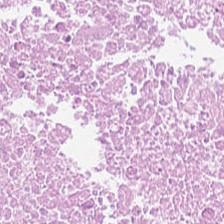H&E-stained tissue section. Q: What type of tissue is this?
A: It is debris.
